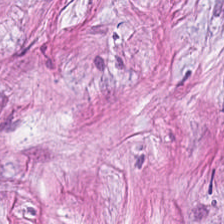224×224 pixel tile; H&E-stained tissue section; FFPE tissue section.
This patch shows desmoplastic stroma.
